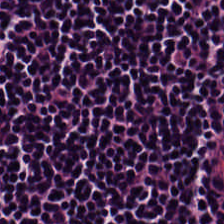H&E stain · 224×224 px tile — The tissue here is lymphocytic infiltrate.
